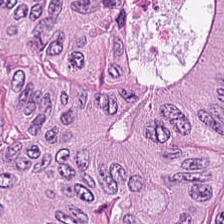Hematoxylin and eosin. FFPE. This patch shows malignant epithelium.
